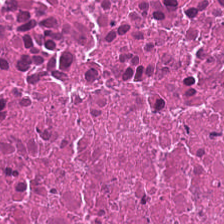H&E stain. Brightfield. Finding — debris.
